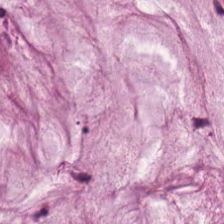H&E — Finding — extracellular mucin.
